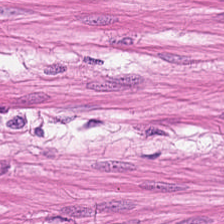Hematoxylin and eosin — Q: What is shown in this field?
A: Smooth muscle.
